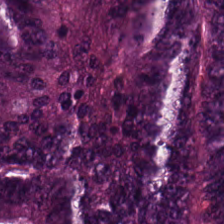Hematoxylin-and-eosin stained section · brightfield.
Impression — colorectal adenocarcinoma.
